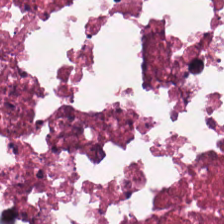H&E stain — The predominant tissue is debris.
